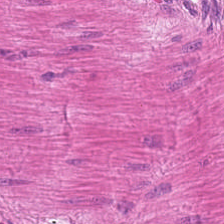224×224 pixel tile; H&E stain. Q: What is shown here?
A: The field shows smooth muscle.
